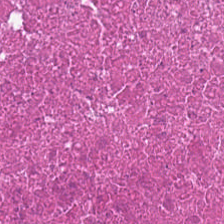H&E-stained tissue section. Tissue: necrotic debris.
